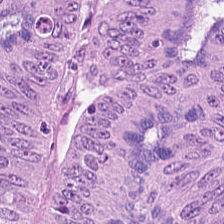H&E-stained section; the field shows adenocarcinoma.
